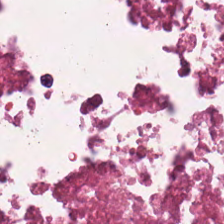H&E · FFPE tissue section. Showing necrotic debris.
